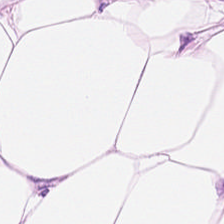Stain: H&E-stained tissue section.
Preparation: formalin-fixed paraffin-embedded section.
Classification: adipose tissue.
